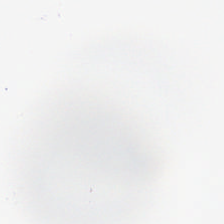H&E-stained tissue section.
The classification is background.
